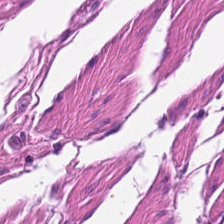Stain: H&E.
Preparation: FFPE.
Tissue type: smooth muscle.
